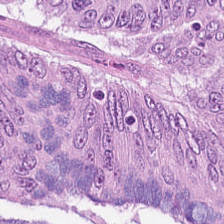Impression → tumor epithelium.
